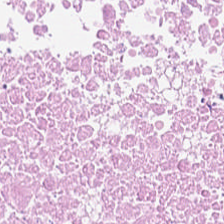Hematoxylin-and-eosin stained section. Brightfield microscopy. Tissue: necrotic debris.
